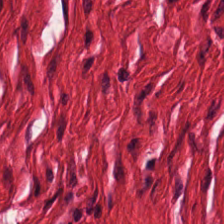Hematoxylin and eosin · 224×224 px patch. The predominant tissue is smooth muscle.
